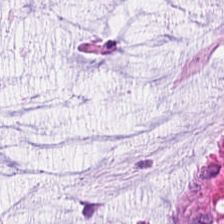Stain: hematoxylin and eosin.
Resolution: 0.5 µm/px.
Tissue: mucin.
